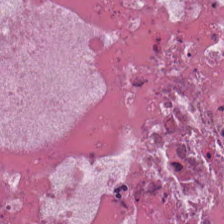Classification = cellular debris.
